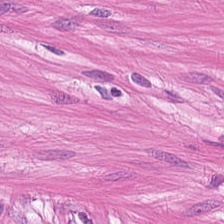Q: What does this patch show?
A: Smooth muscle.
